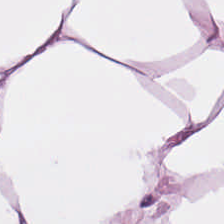H&E. Adipose tissue.
